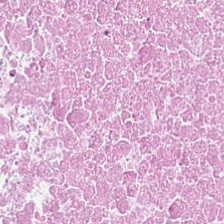H&E-stained tissue section — The classification is necrotic debris.
